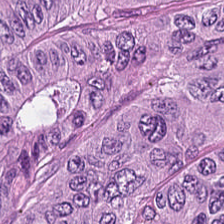Stain: hematoxylin and eosin.
Classification: colorectal adenocarcinoma epithelium.
